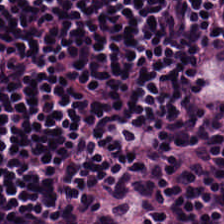Hematoxylin and eosin.
This patch shows lymphocyte aggregate.
